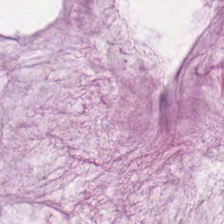Whole-slide-image patch · H&E-stained tissue section. Tissue class — mucus.
